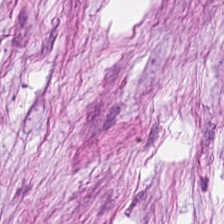Stain: H&E-stained tissue section.
Preparation: FFPE.
Tissue type: tumor stroma.
